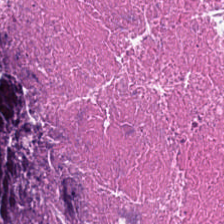H&E. Q: What does this patch show?
A: The field shows necrotic debris.
